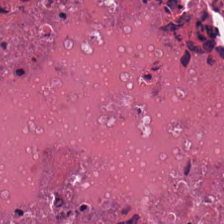H&E-stained tissue section. {"tissue_type": "cellular debris"}
